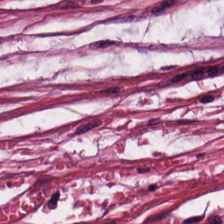FFPE · hematoxylin-and-eosin stained section — Classification: tumor stroma.
